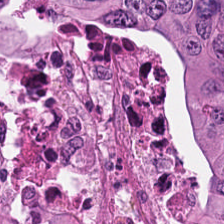H&E stain — Tissue = colorectal adenocarcinoma epithelium.
